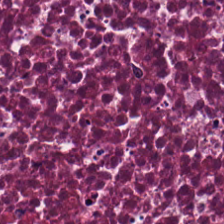0.5 µm per pixel. H&E. 224×224 pixel tile.
The predominant tissue is debris.
